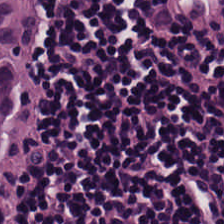224×224 px patch. H&E-stained tissue section. Brightfield microscopy.
This field is lymphocytes.
